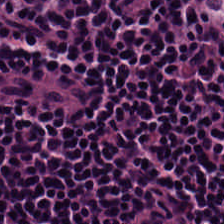Stain: H&E stain.
Preparation: FFPE tissue section.
Tissue: lymphoid infiltrate.
